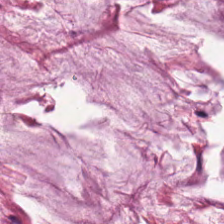The tissue is mucus.
